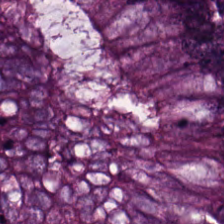H&E patch showing colorectal adenocarcinoma epithelium.
